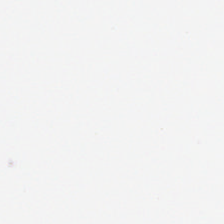Hematoxylin and eosin. 224×224 px patch. FFPE tissue section — Content = background (no tissue).
